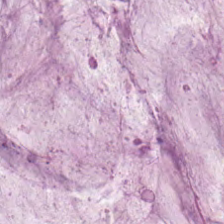This patch shows extracellular mucin.
